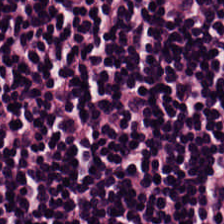The classification is lymphocyte aggregate.
